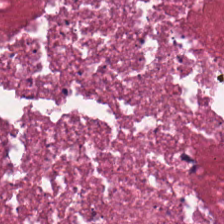H&E · formalin-fixed paraffin-embedded section.
Impression — debris.
